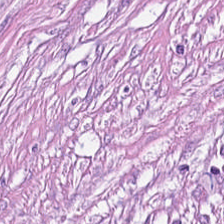Tumor-associated stroma.
